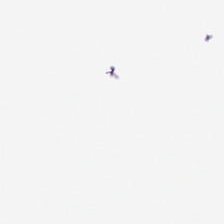Hematoxylin-and-eosin stained section; 0.5 µm per pixel; whole-slide-image patch. No tissue present; background only.
